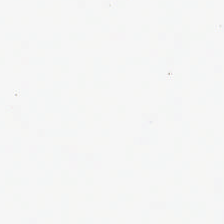Classification: background (no tissue).
